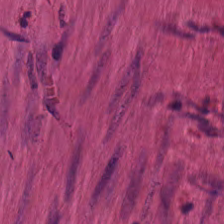H&E-stained tissue section — This field is muscularis.
